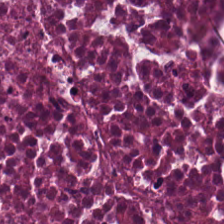Stain: H&E-stained tissue section.
Preparation: formalin-fixed paraffin-embedded section.
Acquisition: whole-slide-image patch.
Tissue type: debris.
